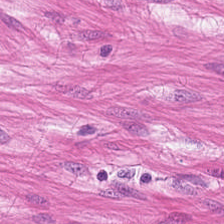H&E.
Tissue class: smooth muscle.
